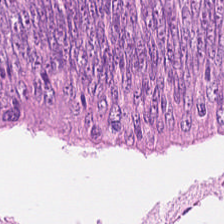Tumor epithelium.
